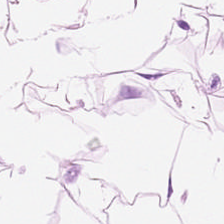This field is fat tissue.
